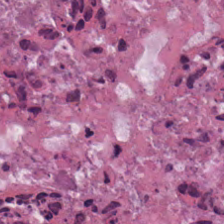224×224 px patch; hematoxylin and eosin.
This patch shows cellular debris.
